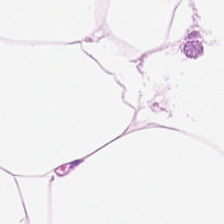Hematoxylin-and-eosin stained section; 0.5 microns per pixel.
Q: What is shown here?
A: Adipose tissue.
